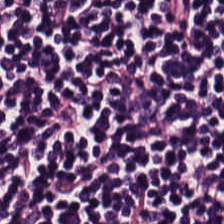Hematoxylin and eosin.
The tissue here is lymphocytes.
